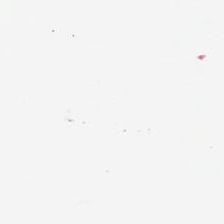Content: empty background.
